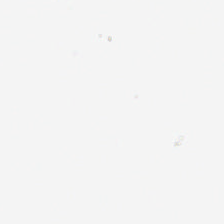Hematoxylin and eosin. Content: background (no tissue).
